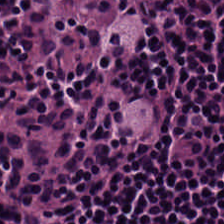Hematoxylin and eosin — Tissue class — lymphocyte aggregate.
